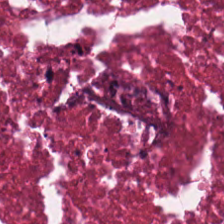Hematoxylin and eosin — Predominant tissue: debris.
